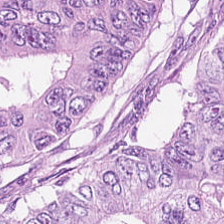Hematoxylin and eosin; 0.5 µm per pixel. The predominant tissue is colorectal adenocarcinoma epithelium.
